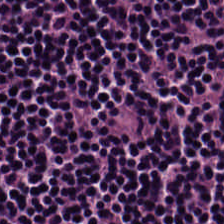FFPE tissue section. Hematoxylin and eosin. 224×224 pixel tile — The predominant tissue is lymphocytic infiltrate.
